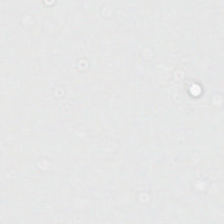H&E — {"content": "empty background"}
